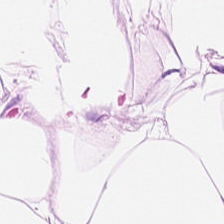Tissue class — adipose.
